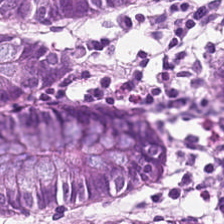H&E-stained tissue section.
Tissue class: benign colonic mucosa.
